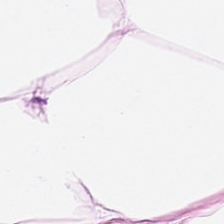0.5 µm per pixel; hematoxylin-and-eosin stained section — Tissue — adipocytes.
